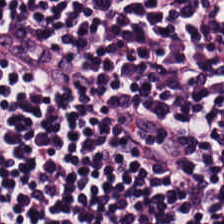H&E-stained tissue section.
The classification is lymphocyte aggregate.
